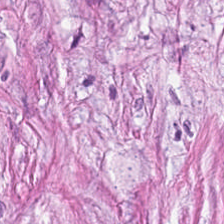Hematoxylin and eosin.
Predominantly tumor stroma.
